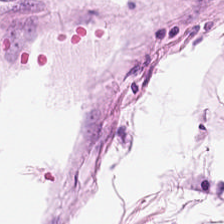Tissue type = fat tissue.
